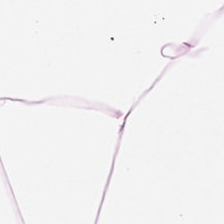Showing fat tissue.
